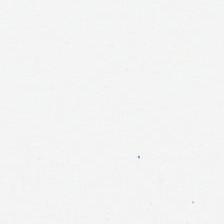H&E stain · brightfield microscopy.
Content = empty background.
